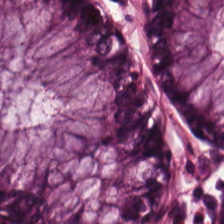Brightfield; 0.5 microns per pixel; H&E-stained tissue section. The tissue here is normal colon mucosa.
